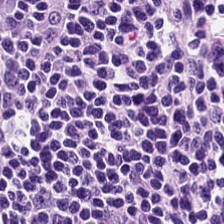Stain: H&E stain.
Preparation: FFPE.
Tissue type: lymphoid infiltrate.
